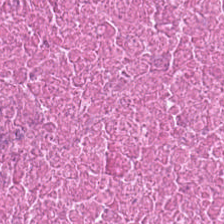Hematoxylin-and-eosin stained section · 224×224 pixel tile.
The classification is debris.
